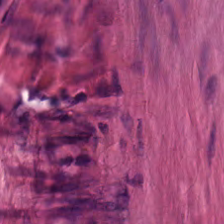Stain: H&E stain.
Classification: smooth muscle.
